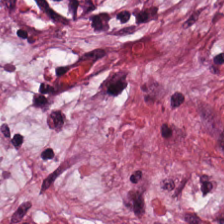20× equivalent magnification. H&E stain.
The predominant tissue is desmoplastic stroma.
